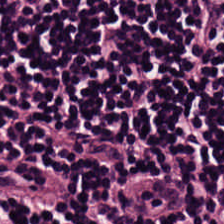Histology → lymphoid infiltrate.
